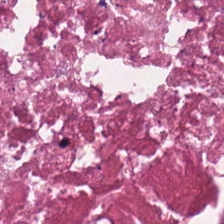Q: What does this patch show?
A: The field shows cellular debris.
